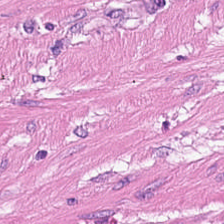Stain: H&E stain.
Tissue type: smooth-muscle tissue.
